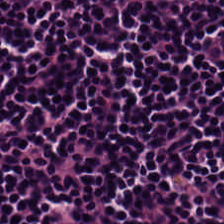Stain: H&E stain.
Preparation: FFPE.
Tile size: 224×224 px tile.
Tissue type: lymphocytes.
